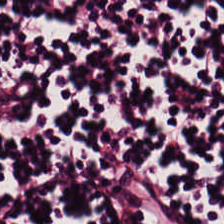Stain: H&E stain.
Tissue: lymphocytic infiltrate.
